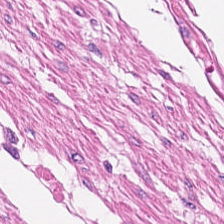H&E · 224×224 pixel tile · WSI patch. Histology → smooth-muscle tissue.
